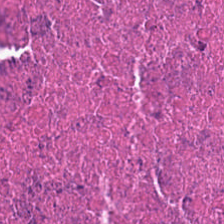Stain: hematoxylin-and-eosin stained section.
Classification: cellular debris.
